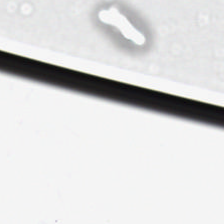Hematoxylin-and-eosin stained section.
The field content is no tissue.
